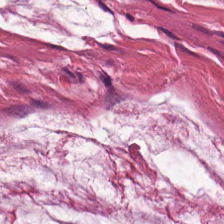Brightfield microscopy · 224×224 px tile · hematoxylin and eosin.
Q: What type of tissue is this?
A: The field shows extracellular mucin.
